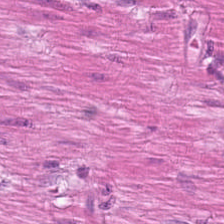H&E. This patch shows smooth-muscle tissue.
